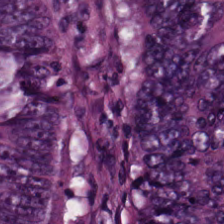Hematoxylin-and-eosin stained section — This field is malignant epithelium.
